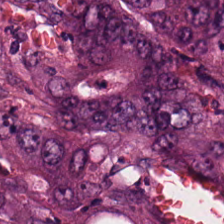Histology — tumor epithelium.
